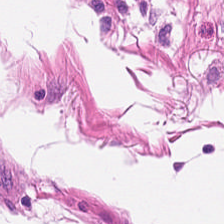0.5 µm per pixel. H&E. Tissue type — muscularis.
